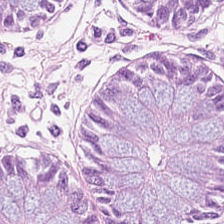Hematoxylin-and-eosin stained section.
Histology → benign colonic mucosa.
